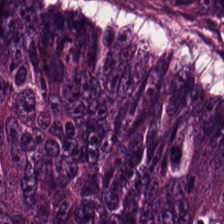Stain: hematoxylin-and-eosin stained section.
Predominant tissue: adenocarcinoma.
